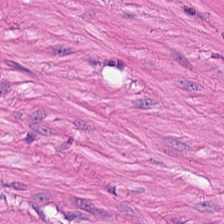224×224 pixel tile; H&E-stained tissue section — Predominantly smooth-muscle tissue.
